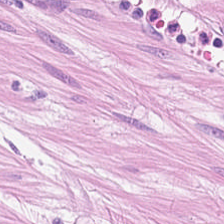Hematoxylin-and-eosin stained section — Tissue type — smooth-muscle tissue.
